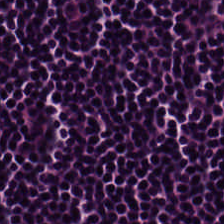Brightfield. Hematoxylin and eosin. {"tissue_type": "lymphocytes"}
